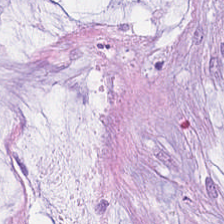Q: What tissue is shown?
A: It is mucus.
